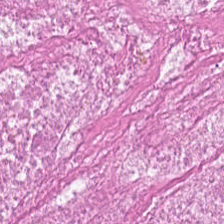H&E stain.
This field is necrotic debris.
